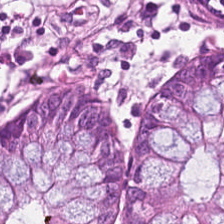Hematoxylin-and-eosin stained section — {"tissue_type": "benign colonic mucosa"}
